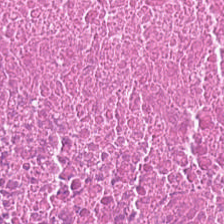Hematoxylin and eosin — The tissue here is necrotic debris.
